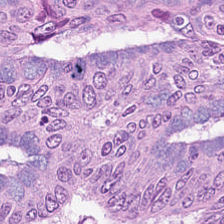H&E stain; 224×224 px tile — Tissue class — adenocarcinoma.
